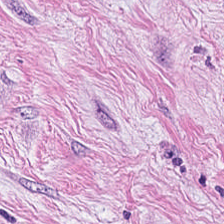Predominantly cancer-associated stroma.
